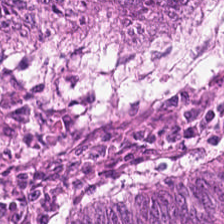Hematoxylin-and-eosin stained section.
The tissue here is colorectal adenocarcinoma epithelium.
